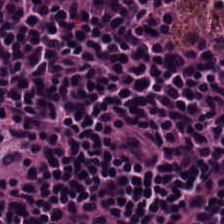Brightfield · H&E-stained tissue section · 224×224 pixel tile — This patch shows lymphocytes.
